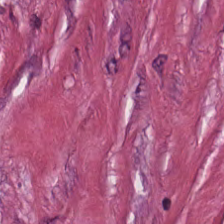Stain: H&E-stained tissue section.
Predominant tissue: tumor stroma.
